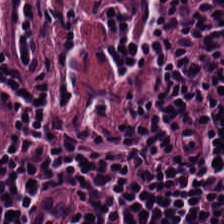0.5 µm per pixel · H&E stain — Q: What tissue type is shown here?
A: This is lymphocytes.
